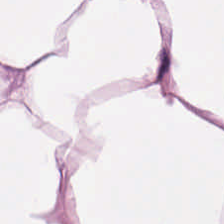Formalin-fixed paraffin-embedded section. 0.5 µm per pixel. Hematoxylin and eosin — Tissue — adipose tissue.
